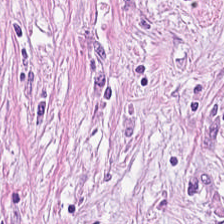H&E stain.
This patch shows tumor stroma.
